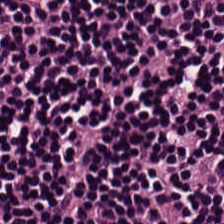224×224 px patch · WSI patch · hematoxylin and eosin. The predominant tissue is lymphocyte aggregate.
